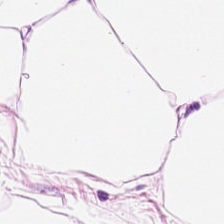Hematoxylin-and-eosin stained section. {"tissue_type": "adipose"}
